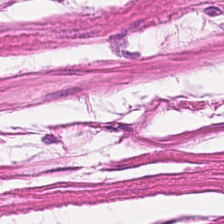Brightfield microscopy · H&E — Classification = smooth muscle.
